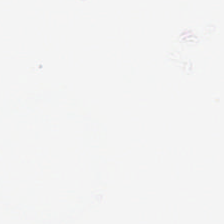Hematoxylin and eosin; whole-slide-image patch — Q: What is shown in this field?
A: The field shows no tissue.
